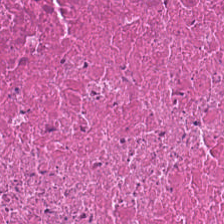Tissue — debris.
